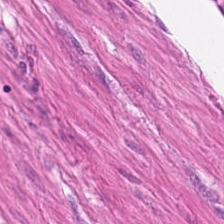H&E stain. FFPE tissue section — Tissue class = smooth-muscle tissue.
